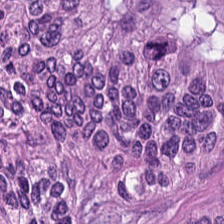Stain: H&E.
Acquisition: WSI patch.
Predominant tissue: tumor epithelium.
